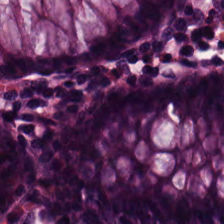Stain: H&E.
Acquisition: WSI patch.
Resolution: 0.5 microns per pixel.
Predominant tissue: normal colonic mucosa.
